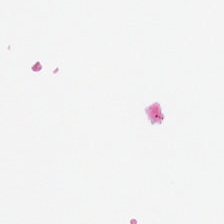The field content is no tissue.
